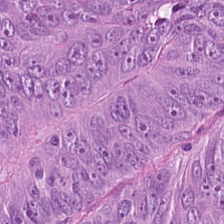Hematoxylin-and-eosin stained section; 224×224 px tile. Showing colorectal adenocarcinoma.
